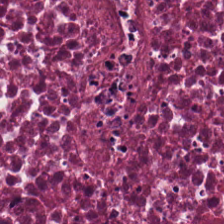Q: What is shown here?
A: Debris.
